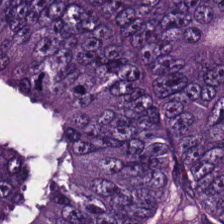0.5 microns per pixel · hematoxylin-and-eosin stained section · WSI patch. Q: What type of tissue is this?
A: Colorectal adenocarcinoma.
